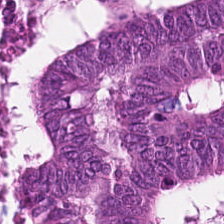224×224 px tile · H&E-stained tissue section · formalin-fixed paraffin-embedded section. Finding — colorectal adenocarcinoma.
